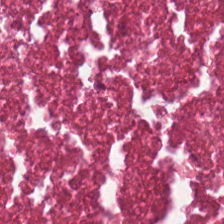H&E-stained tissue section. The tissue type is cellular debris.
